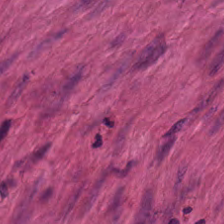Hematoxylin-and-eosin stained section. Predominantly muscularis.
